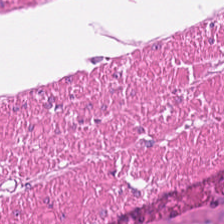Whole-slide-image patch; 224×224 pixel tile; H&E.
Histology → muscularis.
